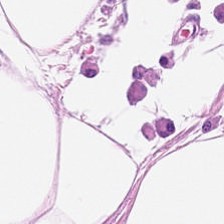FFPE tissue section. 0.5 microns per pixel. H&E-stained tissue section.
The predominant tissue is adipocytes.
